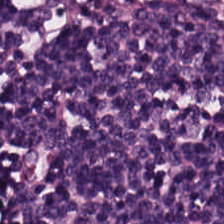Stain: H&E.
Preparation: FFPE tissue section.
Tile size: 224×224 px patch.
Predominant tissue: lymphoid infiltrate.
